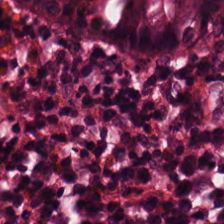H&E stain — This patch shows normal colon mucosa.
